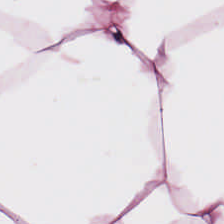FFPE; H&E stain.
Predominantly adipocytes.
